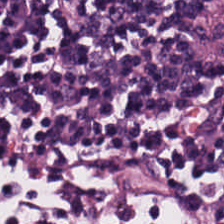Stain: hematoxylin-and-eosin stained section.
Tissue class: lymphoid infiltrate.
